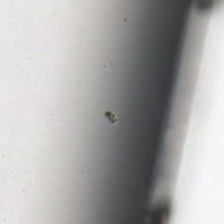Hematoxylin-and-eosin stained section · WSI patch — Q: Classify this patch.
A: It is background (no tissue).
